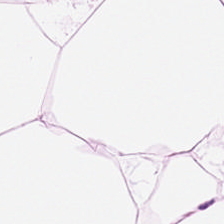Hematoxylin-and-eosin stained section.
The predominant tissue is fat tissue.
